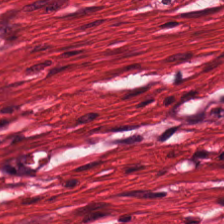Q: What does this patch show?
A: This is muscularis.
